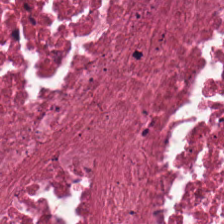0.5 µm per pixel; H&E. {"tissue_type": "debris"}
